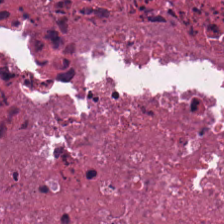Stain: H&E.
Resolution: 0.5 µm/px.
Tissue class: necrotic debris.
